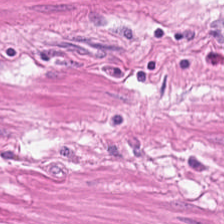H&E-stained tissue section. Showing smooth-muscle tissue.
